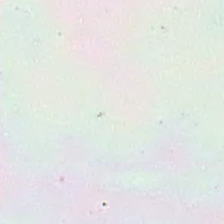H&E stain.
Q: What does this patch show?
A: This is no tissue.
